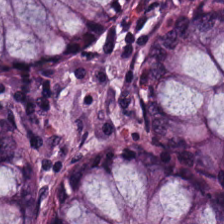H&E-stained tissue section; FFPE; 224×224 px tile. This field is non-neoplastic colon mucosa.
